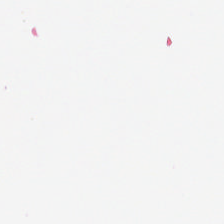224×224 px tile. H&E stain. No tissue present; background only.
